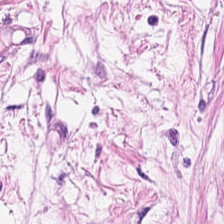H&E-stained tissue section. Impression — tumor-associated stroma.
